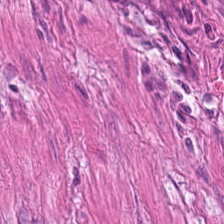224×224 px tile; hematoxylin and eosin; 20× equivalent magnification — Q: What tissue type is shown here?
A: This is smooth-muscle tissue.
